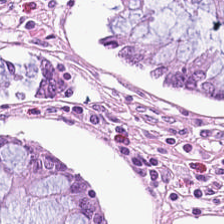Hematoxylin-and-eosin stained section — Tissue class: benign colonic mucosa.
